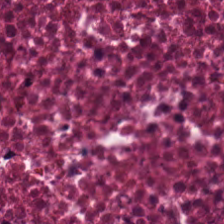H&E — cellular debris.
